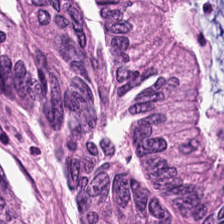H&E stain. Predominant tissue: malignant epithelium.
